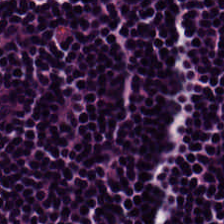0.5 µm per pixel · FFPE · H&E stain — Finding → lymphoid infiltrate.
